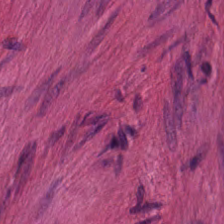Hematoxylin and eosin. This patch shows smooth muscle.
